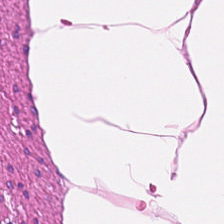H&E-stained tissue section — Q: What does this patch show?
A: The field shows smooth muscle.
